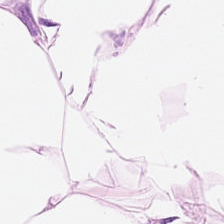Predominantly fat tissue.
